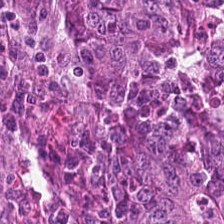Hematoxylin and eosin.
Q: What type of tissue is this?
A: The field shows colorectal adenocarcinoma.
